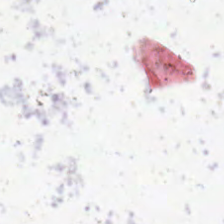Hematoxylin-and-eosin stained section; 20× equivalent magnification. This field is background (no tissue).
